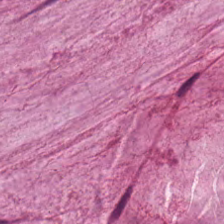224×224 pixel tile · hematoxylin-and-eosin stained section. This patch shows mucin.
